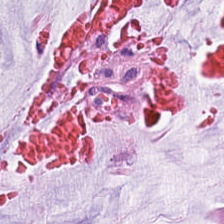H&E stain — Tissue type: mucus.
